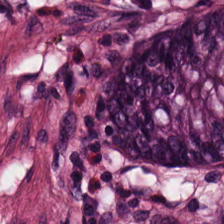Predominantly non-neoplastic colon mucosa.
